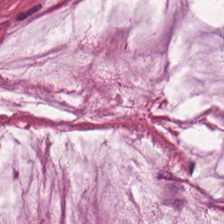The predominant tissue is mucin.
